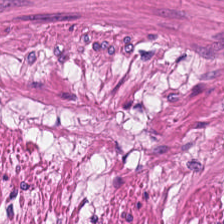FFPE; hematoxylin and eosin; 224×224 pixel tile. Classification — smooth muscle.
